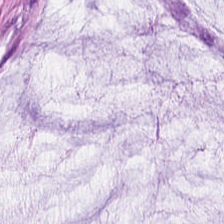H&E stain — Q: What does this patch show?
A: It is mucin.
